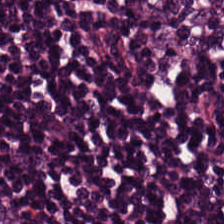H&E — Q: What is shown here?
A: The field shows lymphocytic infiltrate.
